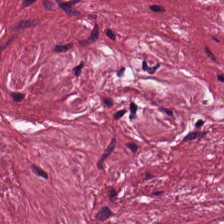Hematoxylin-and-eosin stained section — Predominantly tumor stroma.
